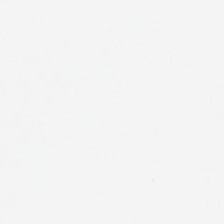Hematoxylin and eosin.
This patch shows background.
